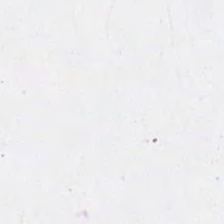Hematoxylin-and-eosin stained section.
Q: What does this patch show?
A: This is background (no tissue).
